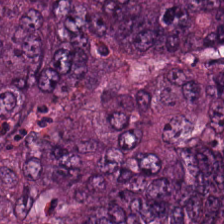Stain: hematoxylin-and-eosin stained section.
Resolution: 0.5 µm per pixel.
Acquisition: whole-slide-image patch.
Classification: adenocarcinoma.
